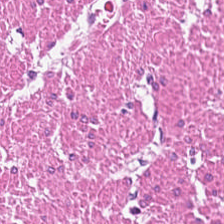FFPE tissue section; hematoxylin and eosin. Muscularis.
